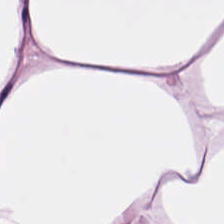Stain: H&E stain.
Tissue type: adipocytes.
